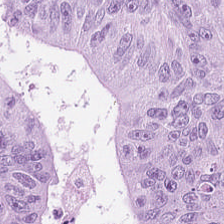H&E stain — This patch shows malignant epithelium.
